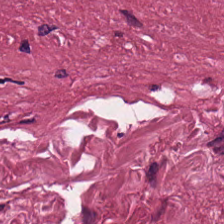Q: Identify the tissue.
A: The field shows desmoplastic stroma.
